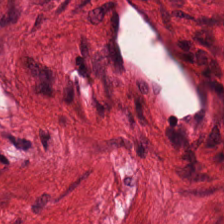Stain: H&E-stained tissue section.
Preparation: formalin-fixed paraffin-embedded section.
Acquisition: WSI patch.
Tissue class: smooth-muscle tissue.
